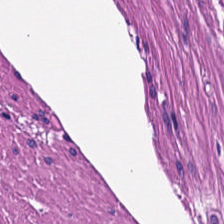224×224 px tile. Formalin-fixed paraffin-embedded section. H&E stain.
Q: What tissue is shown?
A: It is muscularis.
